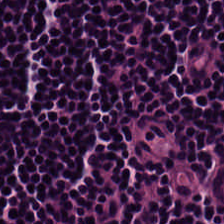H&E-stained tissue section showing lymphocytic infiltrate.
